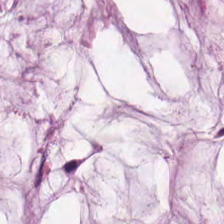H&E stain.
The predominant tissue is extracellular mucin.
